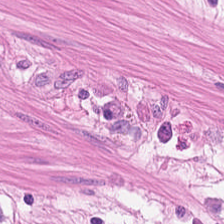Q: What tissue is shown?
A: It is smooth muscle.
